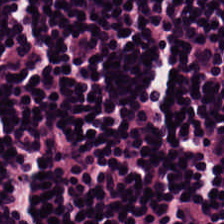H&E stain.
Histology — lymphocytes.
